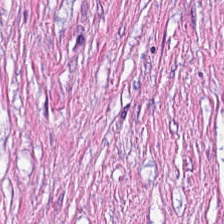Cancer-associated stroma.
